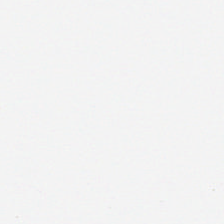0.5 microns per pixel. Hematoxylin and eosin — Finding → no tissue.
